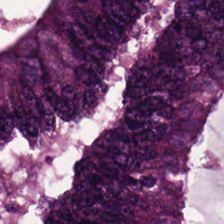The tissue class is colorectal adenocarcinoma.
